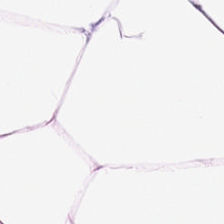H&E-stained tissue section showing adipose.
